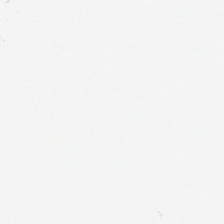Histology → empty background.
